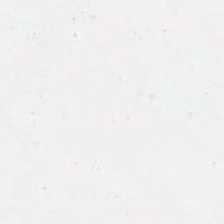H&E — Field content = empty background.
